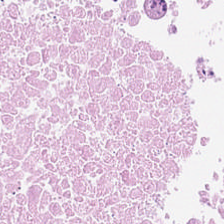H&E stain.
Classification = debris.
